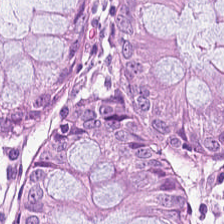H&E stain. 224×224 pixel tile. Brightfield.
Q: What is shown here?
A: Normal colon mucosa.
